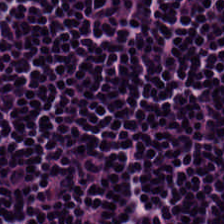Hematoxylin and eosin; 0.5 µm per pixel — This field is lymphocytic infiltrate.
